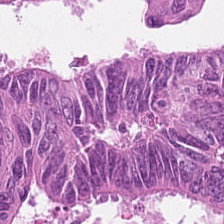Q: What is shown in this field?
A: It is tumor epithelium.
